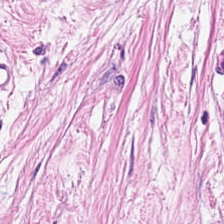Tissue: tumor stroma.
